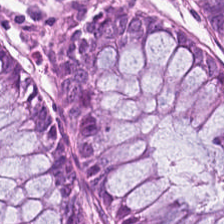Hematoxylin and eosin; 20× equivalent magnification; 224×224 px tile — Impression → benign colonic mucosa.
